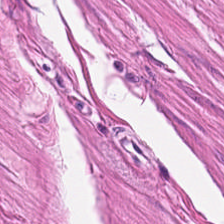H&E.
The predominant tissue is muscularis.
